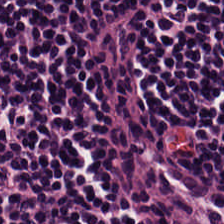Hematoxylin and eosin.
Q: What tissue is shown?
A: It is lymphocytes.
